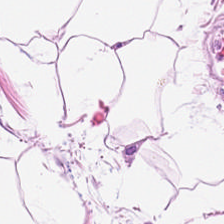H&E stain. Q: What tissue is shown?
A: Adipocytes.
